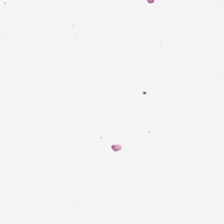H&E — Background — no tissue in this field.
